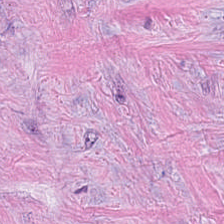Stain: H&E.
Predominant tissue: tumor-associated stroma.
